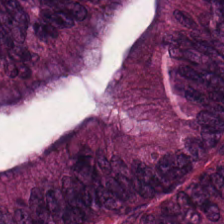Hematoxylin-and-eosin stained section.
Tissue — tumor epithelium.
